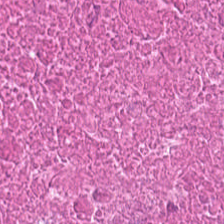H&E · 224×224 pixel tile. Impression → cellular debris.
